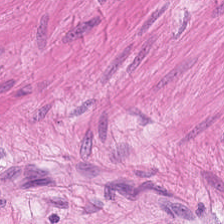Hematoxylin-and-eosin section: smooth-muscle tissue.
